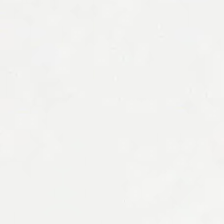H&E — Histology → background (no tissue).
